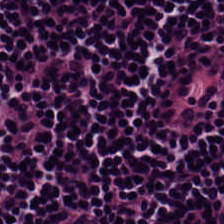WSI patch; hematoxylin and eosin — This field is lymphocytes.
